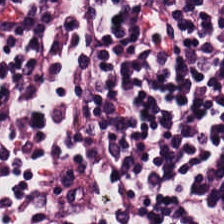H&E stain. FFPE — Lymphocytes.
